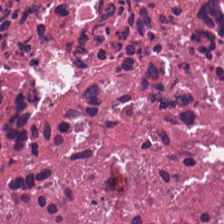Stain: H&E-stained tissue section.
Tissue class: debris.
